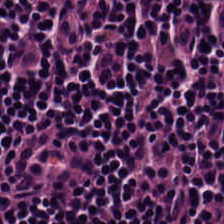Classification: lymphoid infiltrate.
